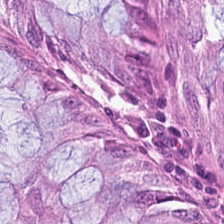H&E stain.
Q: What is shown in this field?
A: Non-neoplastic colon mucosa.
